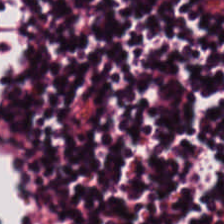0.5 µm per pixel. H&E stain — Q: What is the predominant tissue type?
A: The field shows lymphocytes.
